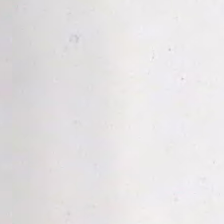Whole-slide-image patch · FFPE tissue section · H&E-stained tissue section.
This patch shows no tissue.
